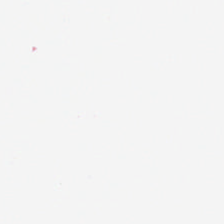Brightfield. H&E stain. 224×224 pixel tile — Background — no tissue in this field.
